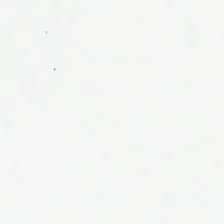20× equivalent magnification. Hematoxylin and eosin — Q: What does this patch show?
A: Background.
